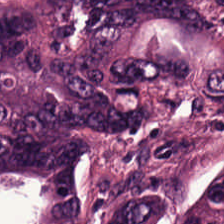H&E stain · 20× equivalent magnification · FFPE — Q: Classify this patch.
A: It is colorectal adenocarcinoma epithelium.
